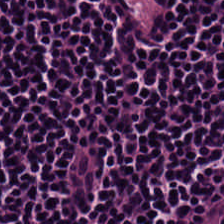Predominant tissue: lymphocyte aggregate.
